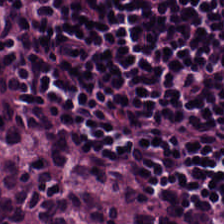Q: What does this patch show?
A: The field shows lymphocytic infiltrate.
